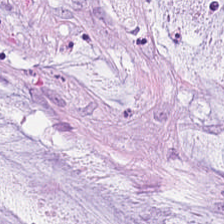Hematoxylin and eosin.
Impression → extracellular mucin.
